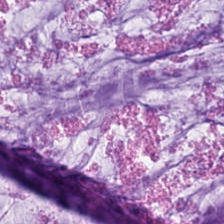H&E — Q: Classify this patch.
A: This is extracellular mucin.
